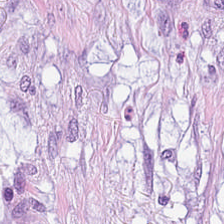0.5 microns per pixel · hematoxylin and eosin — Tissue type: mucin.
